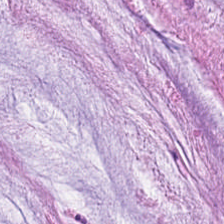Hematoxylin and eosin — This field is extracellular mucin.
